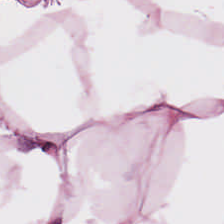Classification = adipose.
